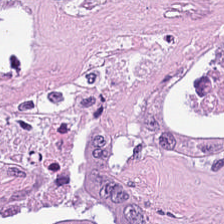Stain: hematoxylin-and-eosin stained section.
Acquisition: brightfield microscopy.
Tile size: 224×224 px patch.
Tissue class: cellular debris.
